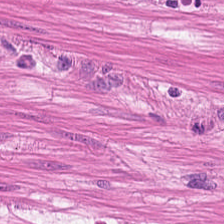Hematoxylin-and-eosin stained section. FFPE tissue section — Tissue: smooth muscle.
